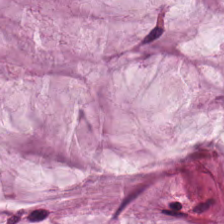H&E stain — Showing mucus.
